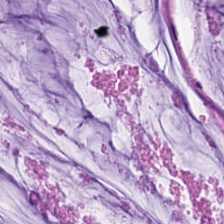H&E.
Showing mucus.
